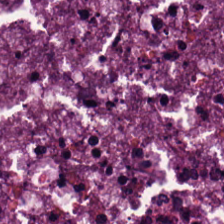Hematoxylin and eosin — The tissue here is tumor epithelium.
